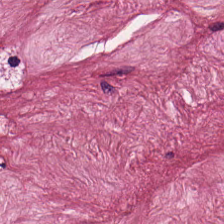Stain: H&E stain.
Tissue type: tumor-associated stroma.
